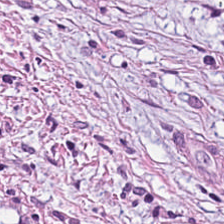Hematoxylin-and-eosin stained section — Classification: tumor stroma.
